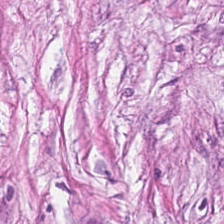H&E stain.
{"tissue_type": "cancer-associated stroma"}
